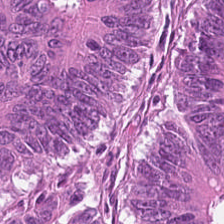Hematoxylin and eosin. Tissue type — adenocarcinoma.
